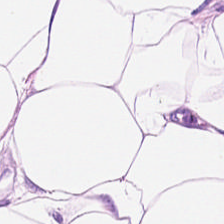224×224 px tile. Hematoxylin-and-eosin stained section.
This field is adipose.
